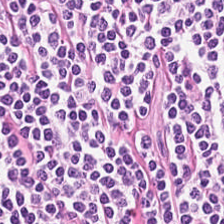224×224 pixel tile; hematoxylin-and-eosin stained section. Finding → lymphocyte aggregate.
